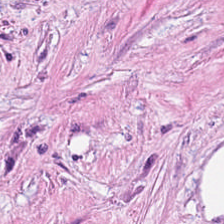{"tissue_type": "cancer-associated stroma"}
